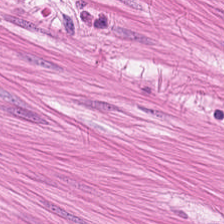Q: What tissue is shown?
A: This is muscularis.
